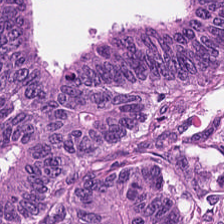H&E stain.
Predominant tissue = malignant epithelium.
